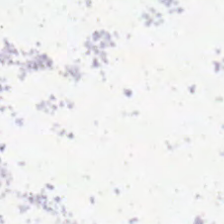H&E stain.
Background — no tissue in this field.
